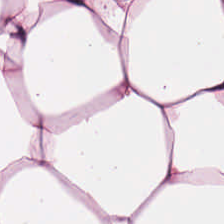H&E stain · FFPE tissue section — Finding — adipose tissue.
